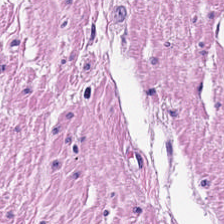H&E-stained tissue section. 224×224 pixel tile. Q: What is shown here?
A: The field shows smooth muscle.
